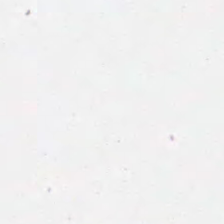Formalin-fixed paraffin-embedded section. H&E-stained tissue section.
Q: What is shown in this field?
A: The field shows background (no tissue).
